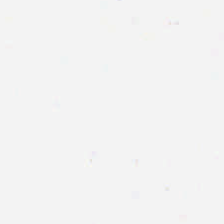0.5 microns per pixel · H&E-stained tissue section. This field is background (no tissue).
